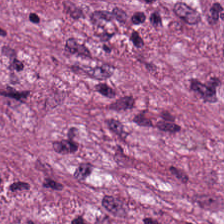H&E-stained tissue section — Showing tumor stroma.
